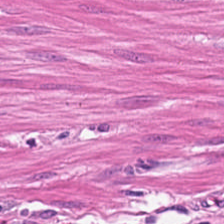H&E stain.
This field is muscularis.
